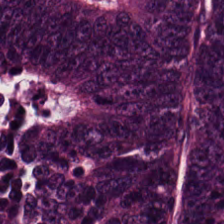Stain: H&E-stained tissue section.
Acquisition: brightfield microscopy.
Tile size: 224×224 px tile.
Tissue: tumor epithelium.
